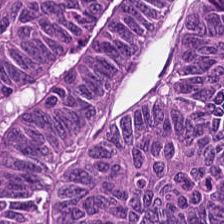Hematoxylin and eosin. The tissue here is colorectal adenocarcinoma.
